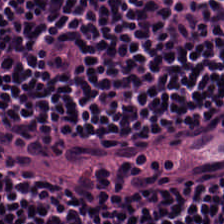Brightfield; hematoxylin-and-eosin stained section; formalin-fixed paraffin-embedded section.
{"tissue_type": "lymphocytic infiltrate"}
